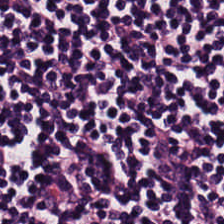Hematoxylin-and-eosin stained section · 0.5 microns per pixel · whole-slide-image patch — The tissue here is lymphoid infiltrate.
